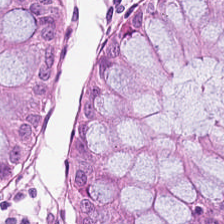Stain: H&E.
Preparation: FFPE.
Tile size: 224×224 px patch.
Classification: non-neoplastic colon mucosa.
